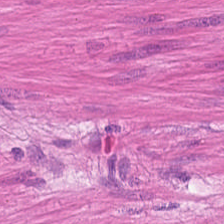Brightfield · H&E stain — The tissue class is muscularis.
